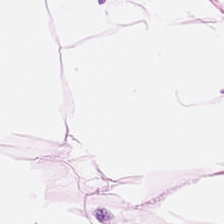H&E-stained section; the field shows fat tissue.
